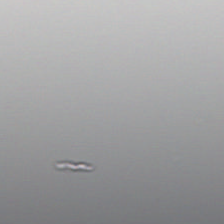This patch shows no tissue.
